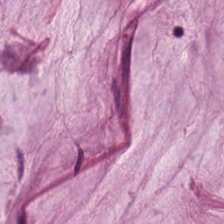Impression — mucus.
